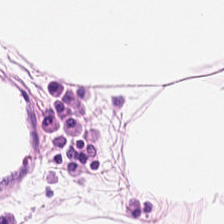H&E. 0.5 µm per pixel. Adipose.
